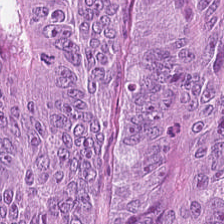The classification is adenocarcinoma.
